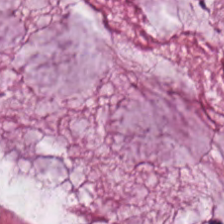H&E-stained tissue section showing extracellular mucin.
